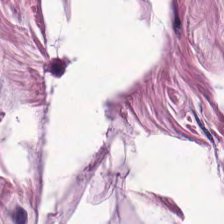H&E stain.
This field is smooth muscle.
